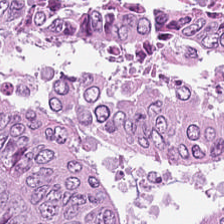H&E stain. 224×224 pixel tile. Q: What is shown here?
A: The field shows colorectal adenocarcinoma epithelium.
